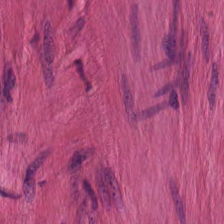Stain: H&E-stained tissue section.
Tile size: 224×224 px patch.
Tissue: smooth-muscle tissue.
